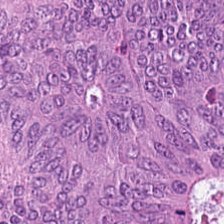H&E. Histology — adenocarcinoma.
